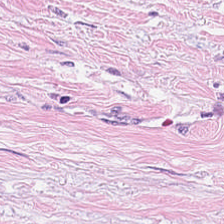Stain: H&E-stained tissue section.
Tissue class: tumor stroma.
